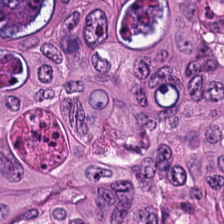Hematoxylin and eosin — This patch shows colorectal adenocarcinoma.
